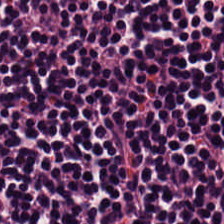H&E-stained tissue section; 224×224 px patch. Tissue: lymphocytic infiltrate.
